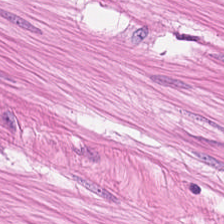Tissue type — smooth muscle.
